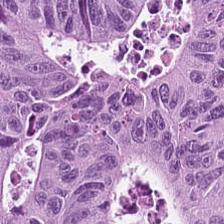H&E-stained tissue section — {"tissue_type": "colorectal adenocarcinoma epithelium"}
